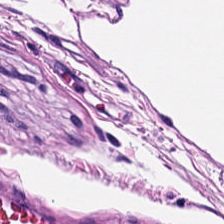FFPE tissue section; hematoxylin-and-eosin stained section.
{"tissue_type": "muscularis"}
